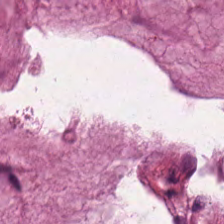H&E.
Q: Classify this patch.
A: This is mucus.
